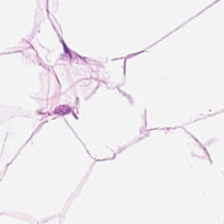Q: What tissue is shown?
A: Fat tissue.
